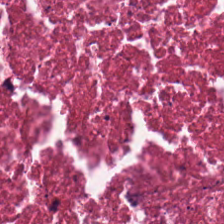H&E · whole-slide-image patch · 224×224 pixel tile — Finding — necrotic debris.
